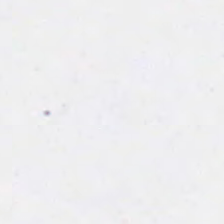H&E; FFPE tissue section. Histology → no tissue.
